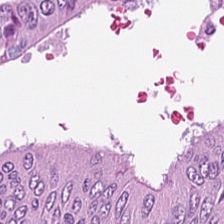224×224 pixel tile; H&E.
The predominant tissue is tumor epithelium.
